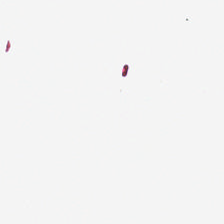H&E. The classification is background.
